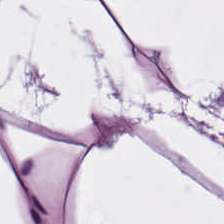224×224 px tile; H&E. Showing adipose.
